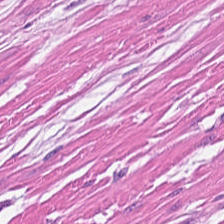H&E-stained tissue section.
Impression — smooth muscle.
